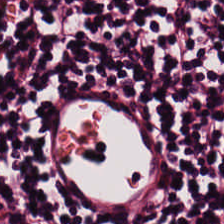H&E-stained tissue section. Showing lymphoid infiltrate.
